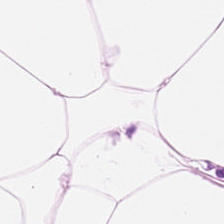Predominantly adipocytes.
